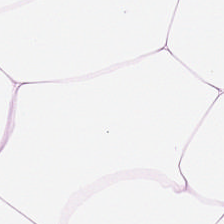Hematoxylin-and-eosin stained section. Predominantly adipocytes.
